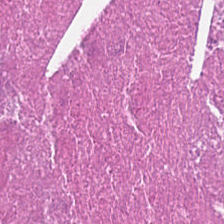Tissue type — debris.
